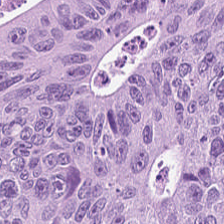Adenocarcinoma.
